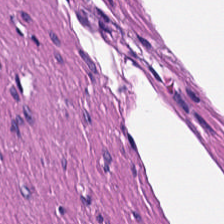Formalin-fixed paraffin-embedded section; H&E. Q: What does this patch show?
A: Smooth-muscle tissue.
